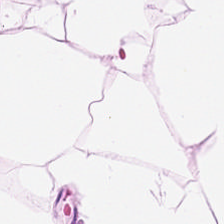H&E-stained tissue section.
Q: Identify the tissue.
A: Adipose tissue.
